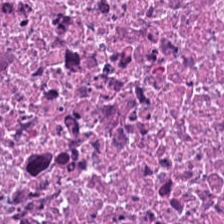Hematoxylin-and-eosin stained section — Q: Identify the tissue.
A: It is cellular debris.
